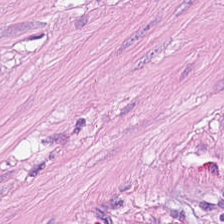Formalin-fixed paraffin-embedded section; hematoxylin and eosin — Q: What tissue is shown?
A: This is smooth muscle.
